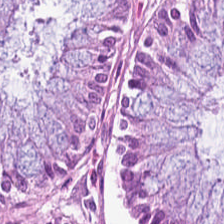Tissue class: normal colonic mucosa.
